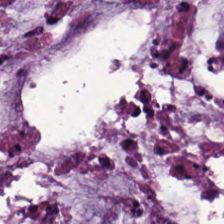224×224 px tile. H&E-stained tissue section. Whole-slide-image patch.
Q: What is the predominant tissue type?
A: This is mucus.
